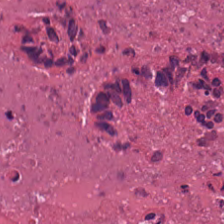Stain: H&E stain.
Classification: debris.
